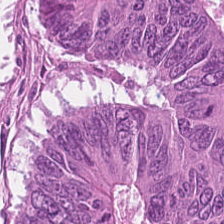H&E stain. 224×224 px tile — Tumor epithelium.
